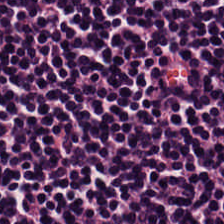H&E-stained tissue section — {"tissue_type": "lymphocyte aggregate"}
